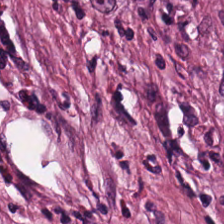224×224 pixel tile · hematoxylin and eosin · whole-slide-image patch — {"tissue_type": "desmoplastic stroma"}
